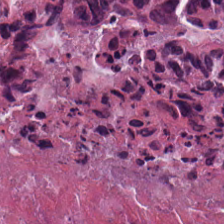WSI patch. H&E. 224×224 px tile. Q: What does this patch show?
A: It is debris.
